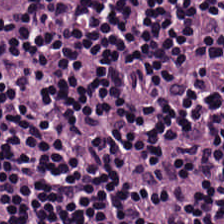H&E-stained tissue section; 0.5 µm per pixel — {"tissue_type": "lymphocytic infiltrate"}
